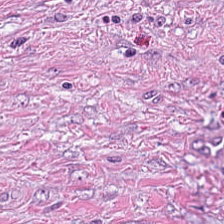Hematoxylin-and-eosin stained section.
Tissue type: tumor stroma.
